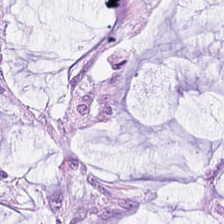FFPE tissue section. Whole-slide-image patch. Hematoxylin and eosin. This patch shows extracellular mucin.
